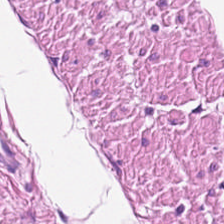Hematoxylin and eosin.
Q: What does this patch show?
A: Smooth-muscle tissue.
